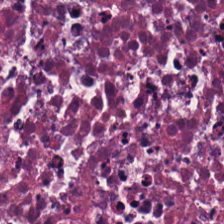H&E stain. Brightfield microscopy. This patch shows cellular debris.
